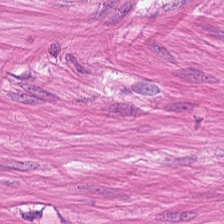Stain: H&E.
Tile size: 224×224 px patch.
Acquisition: brightfield microscopy.
Tissue class: smooth muscle.
